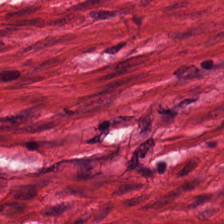H&E stain; WSI patch; formalin-fixed paraffin-embedded section — The tissue is smooth muscle.
